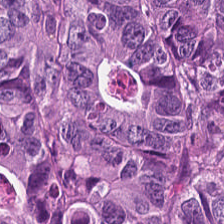20× equivalent magnification; H&E-stained tissue section — Q: What is shown in this field?
A: Malignant epithelium.
